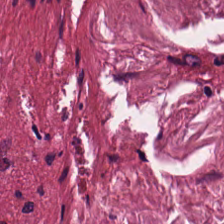Tissue type: cancer-associated stroma.
